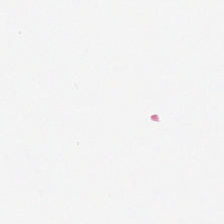Hematoxylin and eosin. Q: What does this patch show?
A: The field shows background.
